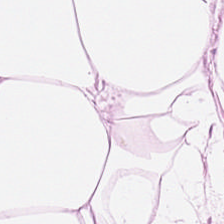Tissue class: adipose.
